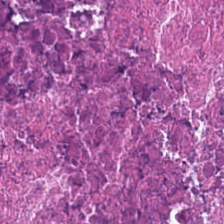Stain: H&E.
Classification: necrotic debris.
